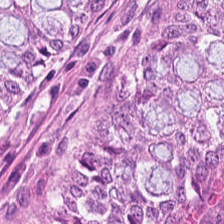Hematoxylin and eosin.
The predominant tissue is normal colon mucosa.
